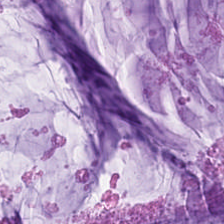Hematoxylin-and-eosin section: extracellular mucin.
